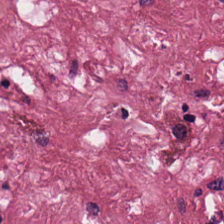H&E patch showing tumor stroma.
